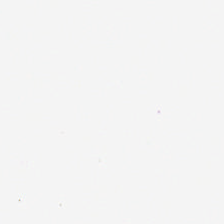H&E. Background.
